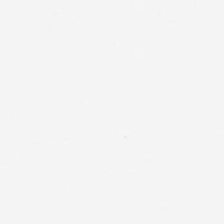Stain: H&E-stained tissue section.
Classification: no tissue.
